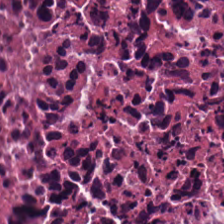Hematoxylin-and-eosin stained section. Formalin-fixed paraffin-embedded section — {"tissue_type": "debris"}
